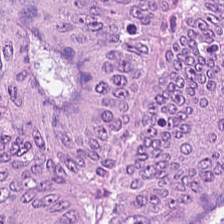H&E · 224×224 px tile. The tissue is tumor epithelium.
